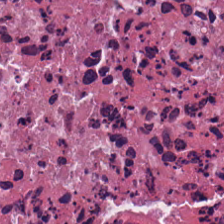Stain: hematoxylin-and-eosin stained section.
Resolution: 0.5 µm/px.
Predominant tissue: necrotic debris.
